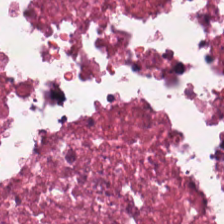Brightfield microscopy. H&E.
{"tissue_type": "necrotic debris"}
